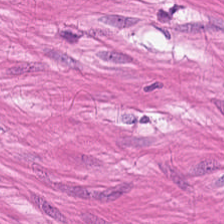Hematoxylin-and-eosin stained section.
Tissue class — smooth-muscle tissue.
